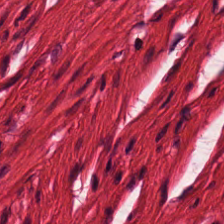Hematoxylin-and-eosin stained section · 224×224 pixel tile. Q: What is the predominant tissue type?
A: It is smooth muscle.
